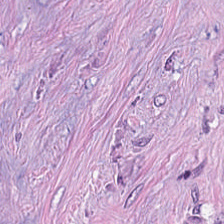Hematoxylin and eosin · 0.5 µm per pixel. Q: What tissue is shown?
A: This is desmoplastic stroma.
